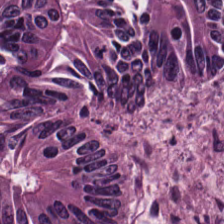Stain: H&E-stained tissue section.
Tissue: malignant epithelium.
